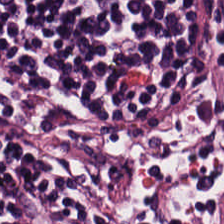H&E-stained section; the field shows lymphocytes.
